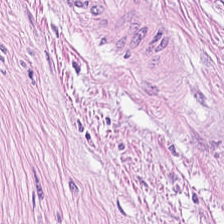Brightfield. H&E stain. 0.5 µm per pixel — Q: What type of tissue is this?
A: The field shows cancer-associated stroma.
